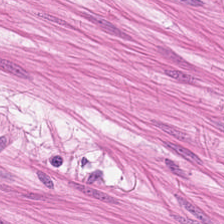Impression → muscularis.
